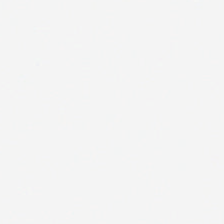Q: Classify this patch.
A: It is empty background.
